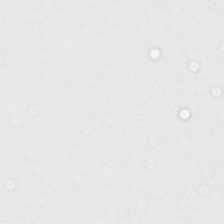0.5 microns per pixel · hematoxylin and eosin · brightfield.
Classification: background.
